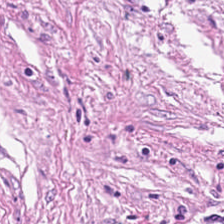This patch shows tumor-associated stroma.
